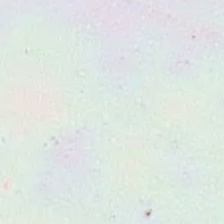H&E stain; brightfield. The content is background.
